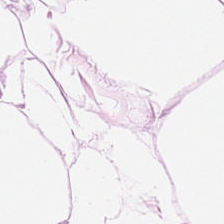Hematoxylin-and-eosin stained section. Tissue = adipocytes.
